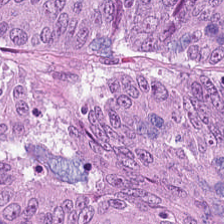H&E. 0.5 microns per pixel. Showing colorectal adenocarcinoma epithelium.
